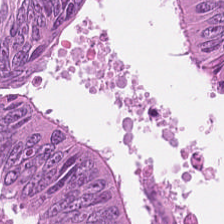Stain: H&E-stained tissue section.
Classification: colorectal adenocarcinoma epithelium.
